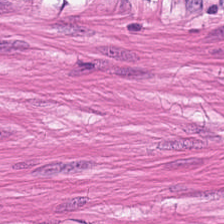0.5 microns per pixel; H&E; 224×224 px tile.
{"tissue_type": "muscularis"}
